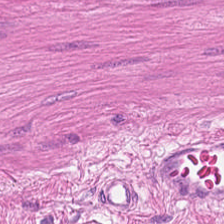H&E. Brightfield. 0.5 µm/px. Impression → smooth muscle.
